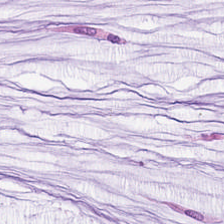0.5 µm/px. H&E — The predominant tissue is mucin.
